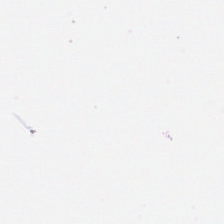H&E.
Q: Classify this patch.
A: The field shows empty background.
